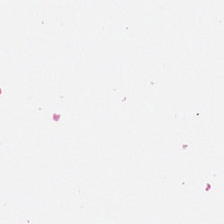Hematoxylin and eosin — Finding → empty background.
